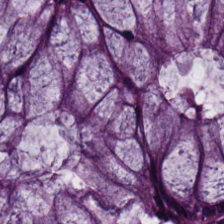H&E.
The tissue here is benign colonic mucosa.
